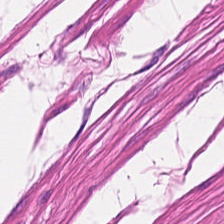224×224 px tile; H&E-stained tissue section; brightfield microscopy.
Q: What is shown in this field?
A: It is muscularis.
